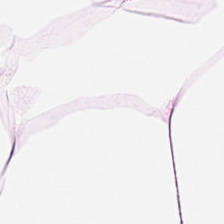Fat tissue.
